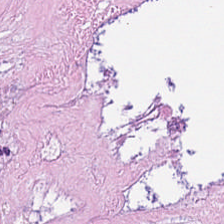Classification: necrotic debris.
